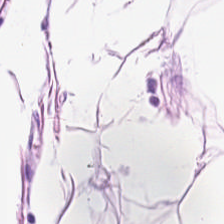Brightfield · 0.5 µm per pixel · hematoxylin-and-eosin stained section. Q: What is shown in this field?
A: It is adipose tissue.
